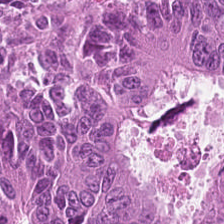FFPE tissue section · H&E · whole-slide-image patch.
This field is colorectal adenocarcinoma.
